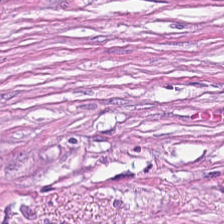H&E. Tissue type = tumor stroma.
